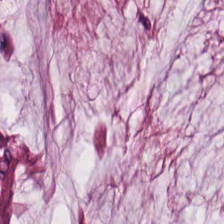Stain: H&E.
Resolution: 0.5 µm/px.
Tissue: mucin.
